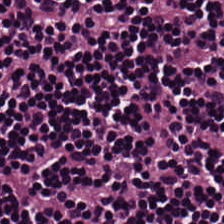H&E-stained tissue section. Q: Classify this patch.
A: It is lymphocytic infiltrate.
